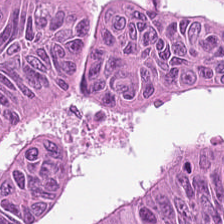224×224 px patch. H&E-stained tissue section. Brightfield microscopy. This field is malignant epithelium.
